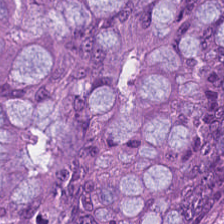H&E-stained tissue section — Tissue class — tumor epithelium.
